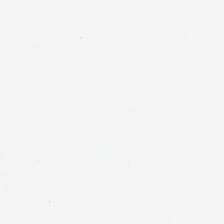H&E — Content — background.
